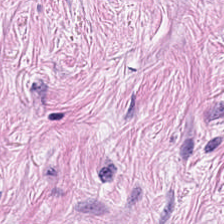Hematoxylin and eosin.
Showing desmoplastic stroma.
